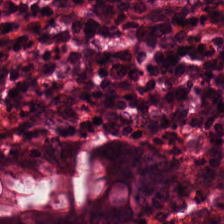Q: Identify the tissue.
A: It is normal colon mucosa.
